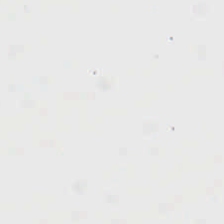Histology → background (no tissue).
